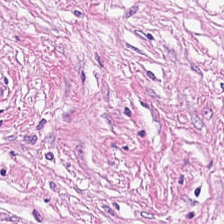H&E stain; WSI patch.
Cancer-associated stroma.
